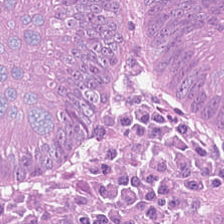Tissue type: malignant epithelium.
